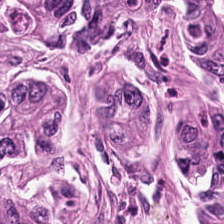Hematoxylin and eosin.
Q: What type of tissue is this?
A: This is colorectal adenocarcinoma.
